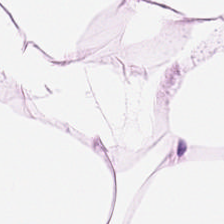0.5 µm/px · whole-slide-image patch · H&E-stained tissue section. The predominant tissue is adipose.
